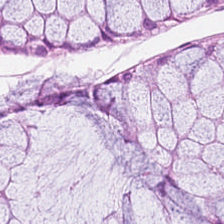0.5 µm/px. 224×224 px patch. H&E stain. Predominantly non-neoplastic colon mucosa.
